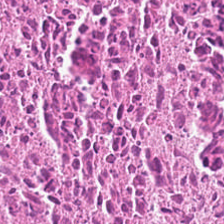H&E-stained tissue section. Predominantly debris.
